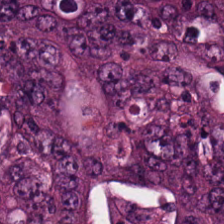224×224 px patch; H&E stain; whole-slide-image patch.
Tissue type — malignant epithelium.
